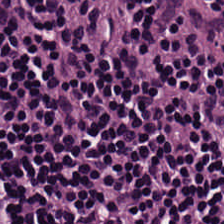Hematoxylin and eosin. FFPE. The tissue type is lymphoid infiltrate.
